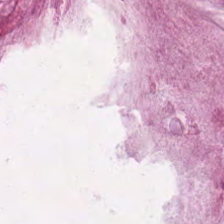H&E stain · 224×224 px patch. This field is mucin.
